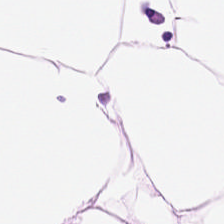Histology — adipose tissue.
